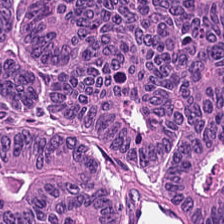Hematoxylin-and-eosin section: colorectal adenocarcinoma epithelium.
